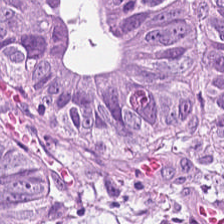The predominant tissue is malignant epithelium.
